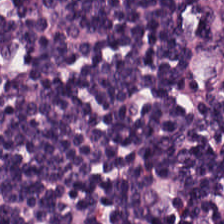H&E-stained tissue section.
This patch shows lymphocytes.
